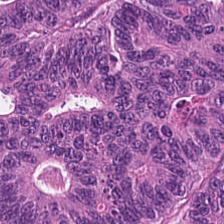H&E-stained tissue section. Tumor epithelium.
